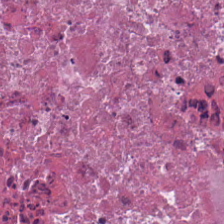Stain: hematoxylin-and-eosin stained section.
Classification: debris.
